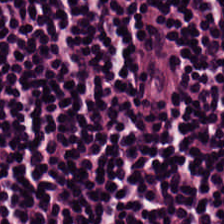H&E-stained tissue section.
Impression → lymphocytic infiltrate.
